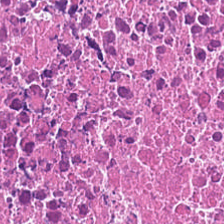H&E-stained tissue section showing debris.
